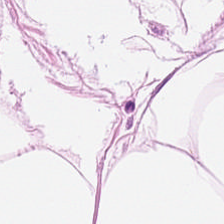H&E-stained tissue section — {"tissue_type": "adipocytes"}
